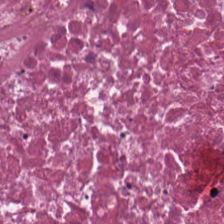0.5 µm/px · H&E.
Tissue: debris.
